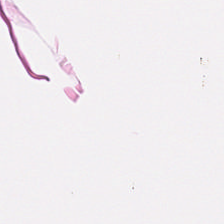This field is smooth muscle.
